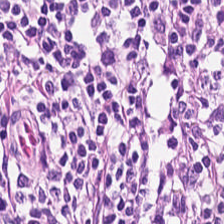Stain: hematoxylin-and-eosin stained section.
Acquisition: brightfield microscopy.
Tissue class: lymphoid infiltrate.
